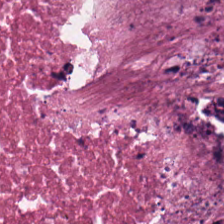Formalin-fixed paraffin-embedded section; hematoxylin and eosin — This field is debris.
